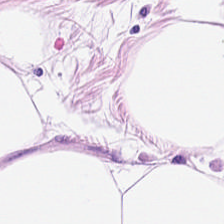224×224 pixel tile · 20× equivalent magnification · hematoxylin and eosin. Adipose.
